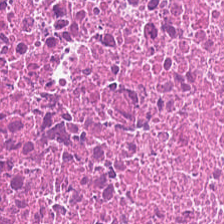H&E-stained tissue section; 0.5 microns per pixel. The tissue type is necrotic debris.
